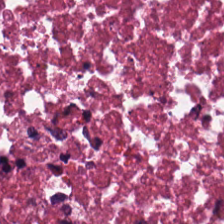H&E-stained tissue section — Tissue type — necrotic debris.
